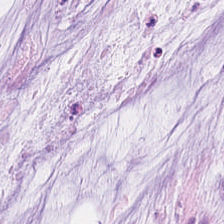Hematoxylin and eosin.
{"tissue_type": "mucus"}
